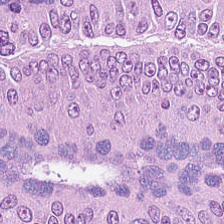224×224 pixel tile. H&E stain. Whole-slide-image patch. Colorectal adenocarcinoma epithelium.
